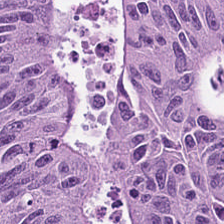Hematoxylin-and-eosin stained section; 224×224 px tile; 0.5 µm per pixel — The predominant tissue is tumor epithelium.
